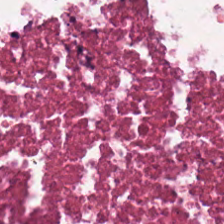Hematoxylin-and-eosin stained section · FFPE tissue section.
Showing debris.
